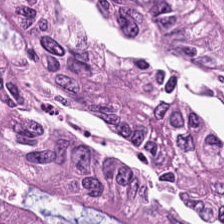WSI patch; H&E — Predominant tissue — colorectal adenocarcinoma epithelium.
